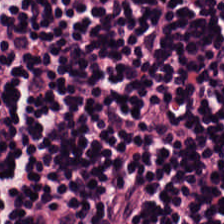Hematoxylin and eosin.
Predominantly lymphoid infiltrate.
